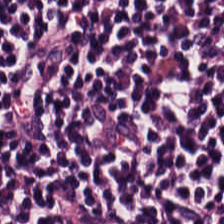The classification is lymphoid infiltrate.
